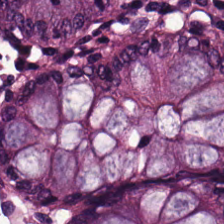Stain: hematoxylin and eosin.
Resolution: 20× equivalent magnification.
Tissue class: non-neoplastic colon mucosa.
